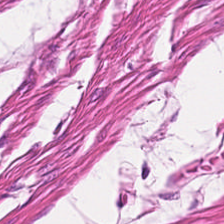224×224 px patch · 0.5 microns per pixel · hematoxylin and eosin — Q: What does this patch show?
A: It is smooth muscle.
